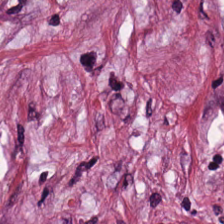H&E-stained tissue section — Q: What does this patch show?
A: This is tumor-associated stroma.
